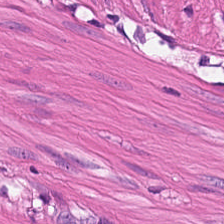Stain: hematoxylin and eosin.
Classification: smooth muscle.
